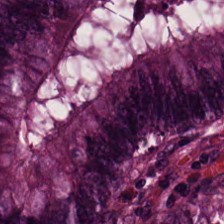H&E-stained tissue section — Classification = non-neoplastic colon mucosa.
